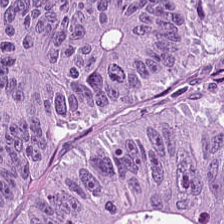Predominant tissue: tumor epithelium.
